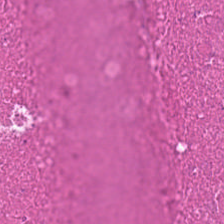Hematoxylin and eosin — Predominantly cellular debris.
